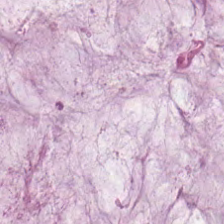H&E stain · 0.5 µm/px · WSI patch — Q: What tissue type is shown here?
A: It is mucus.
